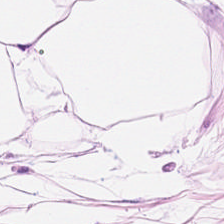H&E patch showing adipose.
